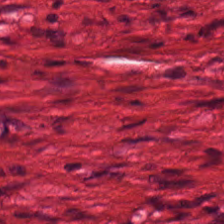Stain: H&E-stained tissue section.
Classification: smooth muscle.
